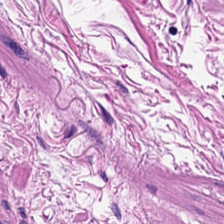FFPE. 20× equivalent magnification. H&E-stained tissue section — Histology → smooth-muscle tissue.
